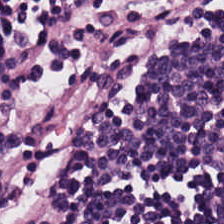H&E stain · 224×224 px tile. Histology — lymphocytic infiltrate.
